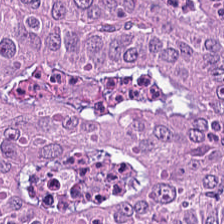The tissue here is colorectal adenocarcinoma.
